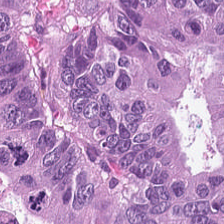Hematoxylin and eosin — Q: Classify this patch.
A: Adenocarcinoma.
